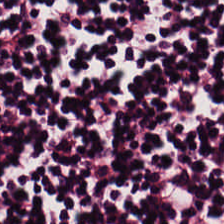Impression — lymphocytic infiltrate.
